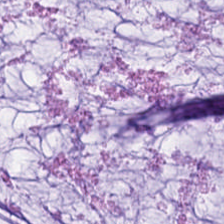H&E-stained tissue section — Q: What is shown in this field?
A: It is mucus.
